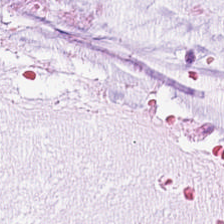Hematoxylin and eosin · 0.5 microns per pixel. Histology — extracellular mucin.
